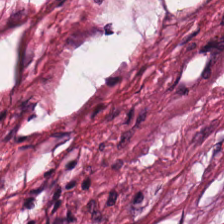Hematoxylin-and-eosin stained section.
Q: What is shown in this field?
A: The field shows tumor-associated stroma.
